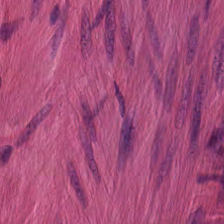Brightfield; H&E-stained tissue section.
Tissue — muscularis.
